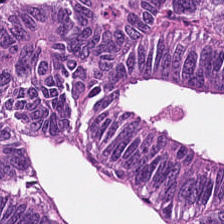Q: Classify this patch.
A: This is malignant epithelium.
